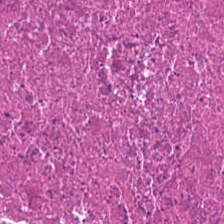Q: What does this patch show?
A: This is necrotic debris.
